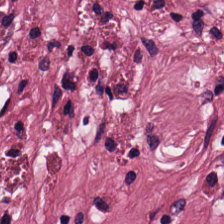Hematoxylin and eosin.
Predominantly tumor-associated stroma.
